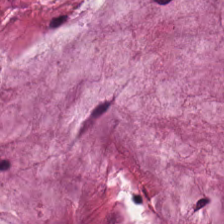Classification — extracellular mucin.
